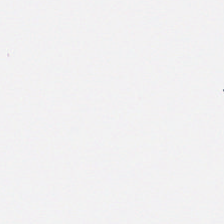Stain: H&E stain.
Preparation: FFPE.
Content: background.
